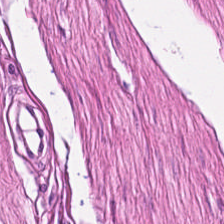H&E stain; FFPE — {"tissue_type": "smooth-muscle tissue"}
